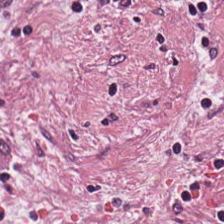Hematoxylin-and-eosin stained section. Q: What does this patch show?
A: The field shows tumor stroma.
